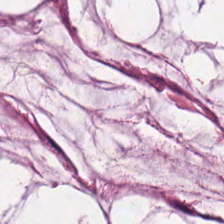H&E.
Tissue class: mucin.
